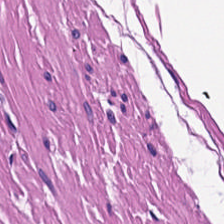Predominant tissue: muscularis.
